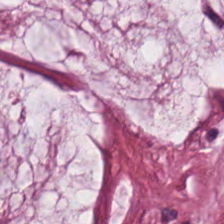Hematoxylin and eosin; formalin-fixed paraffin-embedded section. Tissue class: mucin.
